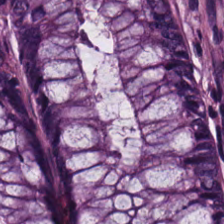H&E · FFPE.
Tissue type — non-neoplastic colon mucosa.
